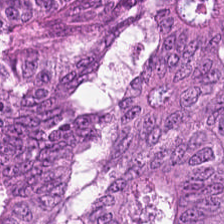Hematoxylin and eosin.
Colorectal adenocarcinoma.
